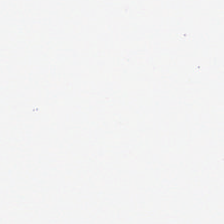Hematoxylin-and-eosin stained section — Content = empty background.
